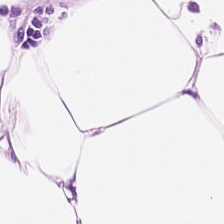Hematoxylin-and-eosin stained section. Tissue = adipocytes.
